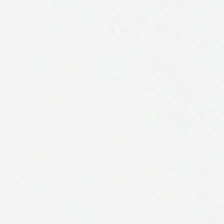Impression — background.
